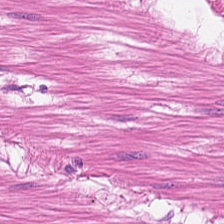Hematoxylin-and-eosin stained section · 0.5 µm/px · brightfield microscopy.
Q: What is the predominant tissue type?
A: Muscularis.
